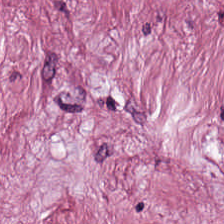Hematoxylin-and-eosin stained section; 0.5 microns per pixel — Tissue — desmoplastic stroma.
